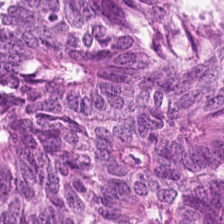Q: What is shown here?
A: It is colorectal adenocarcinoma epithelium.
